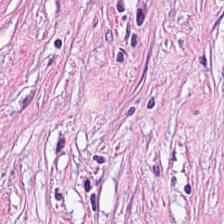Hematoxylin-and-eosin stained section.
Tissue = tumor stroma.
